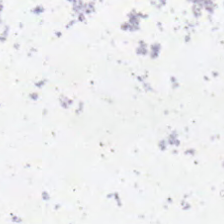H&E-stained tissue section. 0.5 µm/px. FFPE tissue section — Background — no tissue in this field.
